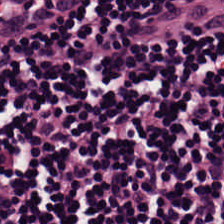20× equivalent magnification · brightfield · hematoxylin-and-eosin stained section. The predominant tissue is lymphocyte aggregate.
